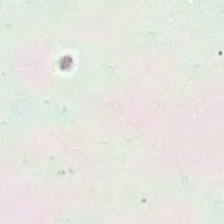224×224 px tile; WSI patch; hematoxylin-and-eosin stained section — Q: Classify this patch.
A: This is background (no tissue).
